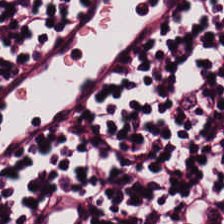Predominantly lymphoid infiltrate.
